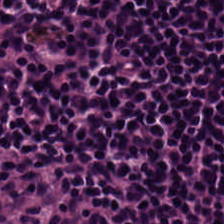H&E-stained tissue section. The tissue here is lymphocytic infiltrate.
